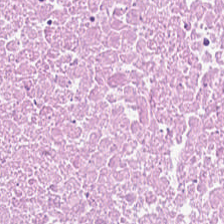Hematoxylin and eosin. WSI patch. 224×224 pixel tile. Showing necrotic debris.
